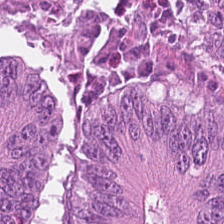Stain: H&E-stained tissue section.
Tissue type: tumor epithelium.
